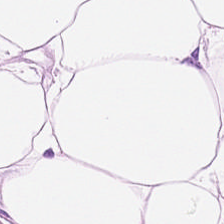Classification = adipocytes.
